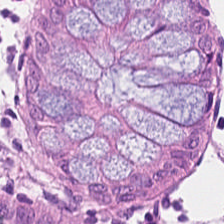H&E stain — Tissue class — non-neoplastic colon mucosa.
